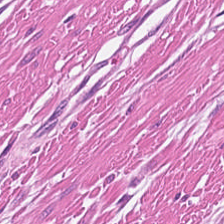FFPE tissue section · hematoxylin-and-eosin stained section. Q: What tissue type is shown here?
A: The field shows muscularis.
